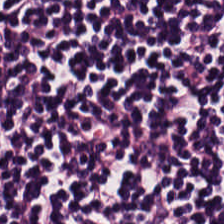H&E stain. The predominant tissue is lymphoid infiltrate.
